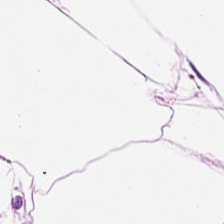WSI patch; H&E.
Tissue = fat tissue.
